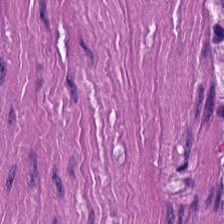H&E stain; whole-slide-image patch.
This field is smooth muscle.
